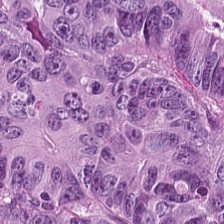H&E stain.
Tissue type = colorectal adenocarcinoma.
